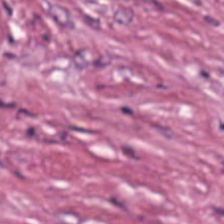H&E · whole-slide-image patch — Impression — desmoplastic stroma.
